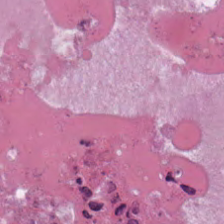Predominant tissue: cellular debris.
